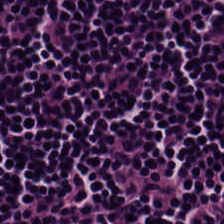H&E — lymphocytic infiltrate.
